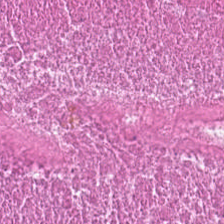H&E. Predominant tissue — necrotic debris.
